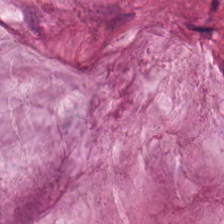H&E-stained tissue section.
Q: Identify the tissue.
A: The field shows mucin.
